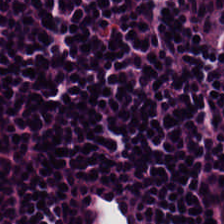H&E-stained tissue section — Tissue class — lymphocytic infiltrate.
